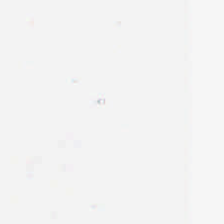224×224 px tile. H&E stain.
Empty background.
